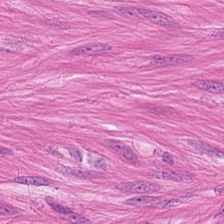Hematoxylin-and-eosin section: smooth-muscle tissue.
